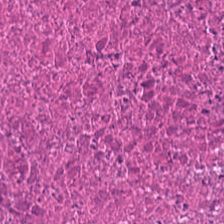Showing debris.
